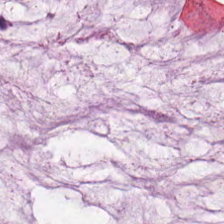Predominant tissue: extracellular mucin.
